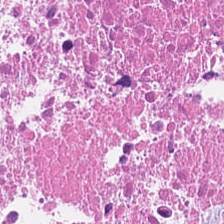H&E-stained tissue section. Tissue type: debris.
